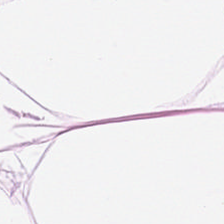H&E-stained tissue section — {"tissue_type": "adipose"}
